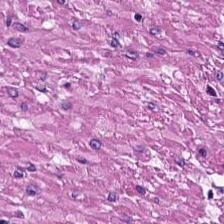H&E · WSI patch.
{"tissue_type": "smooth muscle"}
